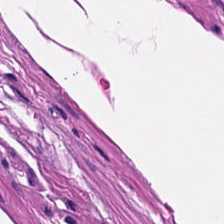Brightfield microscopy · 20× equivalent magnification · hematoxylin and eosin. Finding → smooth-muscle tissue.
